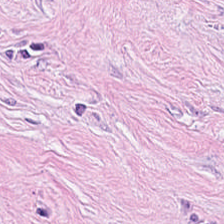FFPE; H&E — Tissue class: tumor-associated stroma.
